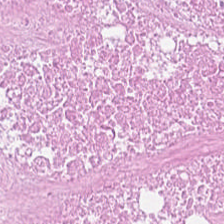H&E-stained tissue section · 224×224 px tile.
{"tissue_type": "cellular debris"}
